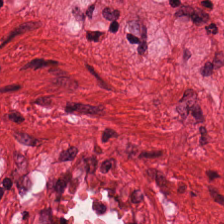{"tissue_type": "smooth-muscle tissue"}
